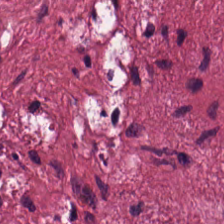H&E stain — Q: What tissue is shown?
A: The field shows tumor stroma.
